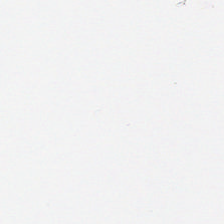224×224 px tile · H&E · 0.5 microns per pixel. This field is background (no tissue).
